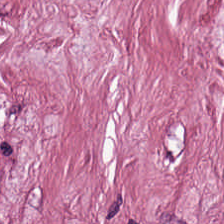Whole-slide-image patch; 224×224 pixel tile; H&E stain.
Cancer-associated stroma.
